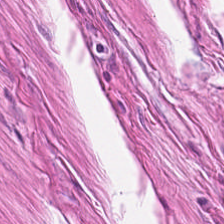This patch shows smooth-muscle tissue.
